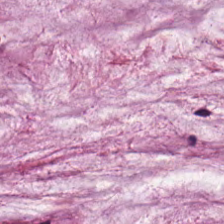H&E-stained tissue section. Finding → mucus.
